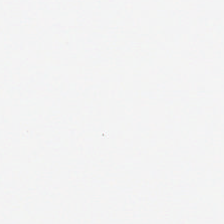224×224 px patch · H&E-stained tissue section · 0.5 µm/px. Field content: background (no tissue).
